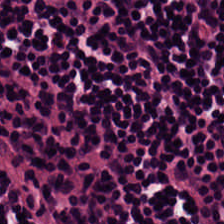Histology — lymphocytes.
